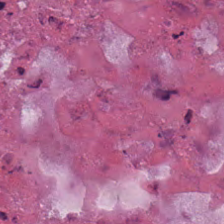224×224 pixel tile · hematoxylin and eosin · 20× equivalent magnification. {"tissue_type": "debris"}
